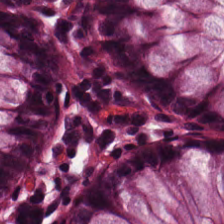H&E-stained tissue section; 0.5 µm per pixel.
The predominant tissue is normal colonic mucosa.
